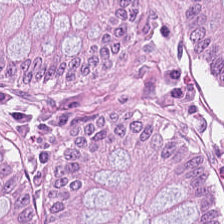Hematoxylin and eosin · FFPE — Showing non-neoplastic colon mucosa.
